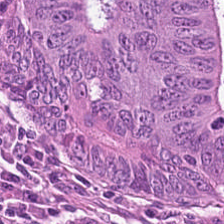H&E stain. Showing colorectal adenocarcinoma.
